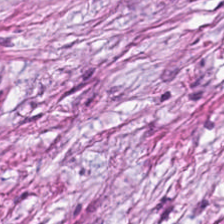224×224 px tile. H&E stain.
Q: What tissue type is shown here?
A: Desmoplastic stroma.
